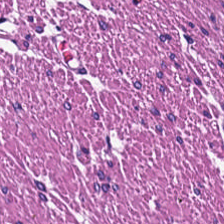H&E stain. Tissue — smooth muscle.
